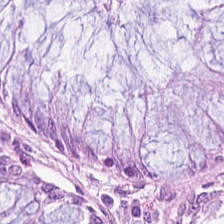Hematoxylin and eosin — Showing non-neoplastic colon mucosa.
